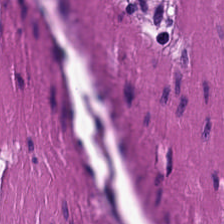The tissue is smooth-muscle tissue.
